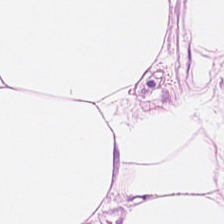H&E. Predominantly adipose.
